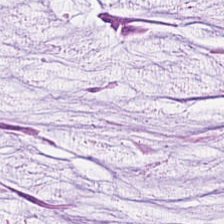FFPE tissue section · H&E.
Histology → extracellular mucin.
